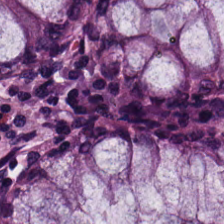H&E-stained tissue section — Q: What is shown in this field?
A: Normal colon mucosa.
